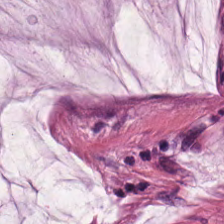Stain: H&E-stained tissue section.
Tissue: extracellular mucin.
